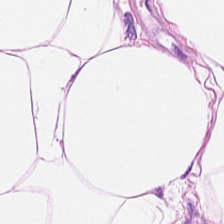Brightfield microscopy; H&E-stained tissue section.
{"tissue_type": "adipose tissue"}
